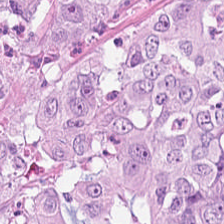H&E; brightfield. Adenocarcinoma.
